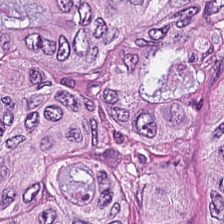H&E patch showing colorectal adenocarcinoma.
